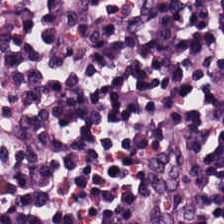Hematoxylin-and-eosin stained section · 0.5 µm per pixel.
{"tissue_type": "lymphoid infiltrate"}
